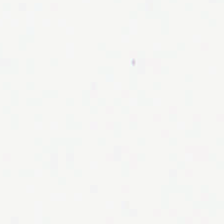Hematoxylin-and-eosin stained section.
Background — no tissue in this field.
